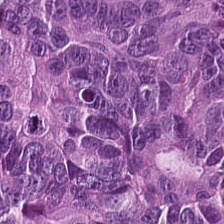Impression → tumor epithelium.
